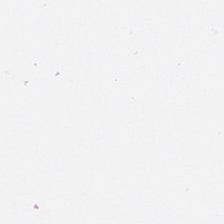H&E stain — Impression → empty background.
